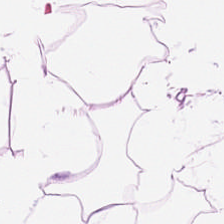H&E patch showing fat tissue.
